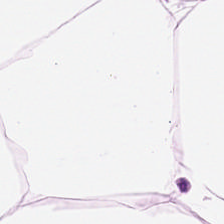H&E-stained tissue section. 0.5 µm per pixel — Q: What is the predominant tissue type?
A: Adipose tissue.
